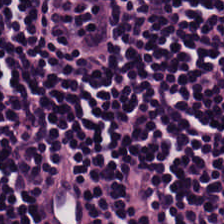H&E-stained tissue section — {"tissue_type": "lymphocytes"}
